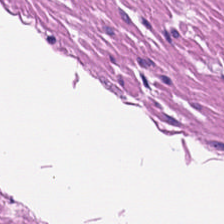Q: Identify the tissue.
A: The field shows smooth muscle.
